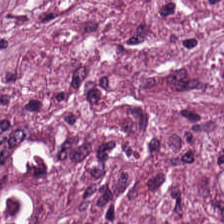224×224 pixel tile · 0.5 µm/px · H&E-stained tissue section. Finding → cancer-associated stroma.
